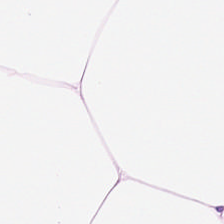H&E-stained tissue section.
Impression — adipocytes.
